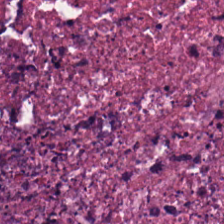H&E; 0.5 microns per pixel; 224×224 px tile.
The tissue here is necrotic debris.
